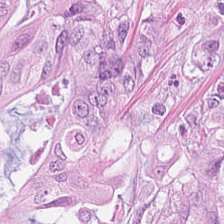H&E stain.
The tissue here is tumor epithelium.
